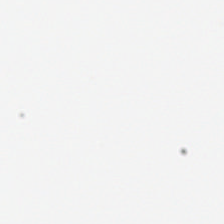H&E stain — Q: What is shown here?
A: The field shows no tissue.
